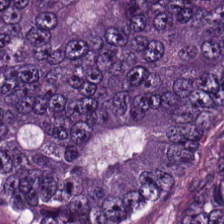224×224 px tile · H&E — This field is tumor epithelium.
